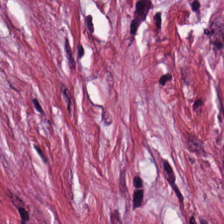FFPE tissue section. 224×224 px tile. H&E. The tissue here is desmoplastic stroma.
